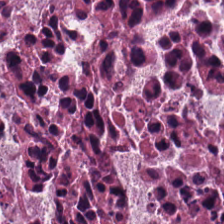H&E. FFPE tissue section — The tissue here is debris.
